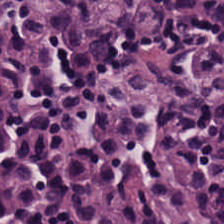H&E; 0.5 µm per pixel; 224×224 pixel tile.
Tissue — lymphocytic infiltrate.
